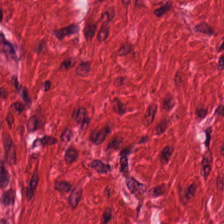H&E. The tissue type is smooth-muscle tissue.
